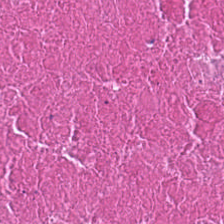Hematoxylin-and-eosin stained section.
Predominantly debris.
